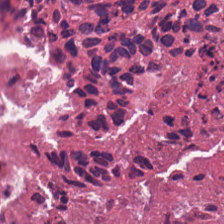Q: What is shown in this field?
A: This is cellular debris.
